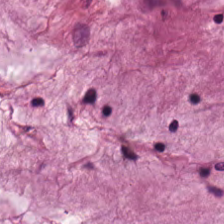H&E-stained tissue section. Tissue — extracellular mucin.
